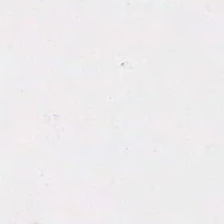Content = empty background.
